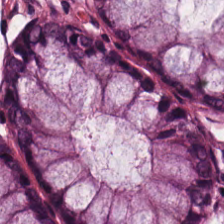Hematoxylin and eosin.
The tissue class is non-neoplastic colon mucosa.
